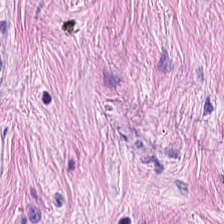H&E-stained tissue section.
Finding → desmoplastic stroma.
